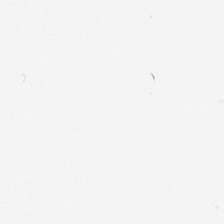Stain: H&E stain.
Content: background.
